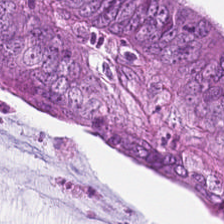The tissue here is adenocarcinoma.
